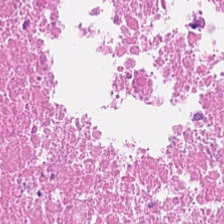H&E stain · formalin-fixed paraffin-embedded section · 224×224 pixel tile.
Tissue class = cellular debris.
